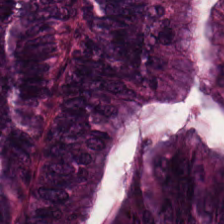H&E-stained tissue section · 0.5 µm per pixel. Finding → adenocarcinoma.
